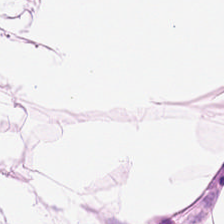H&E-stained tissue section — Adipocytes.
